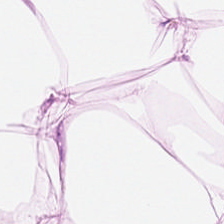Hematoxylin and eosin. 224×224 pixel tile.
Classification: adipocytes.
